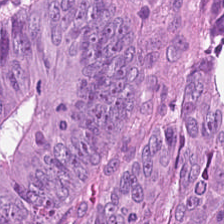Brightfield. Hematoxylin-and-eosin stained section. Impression → colorectal adenocarcinoma.
